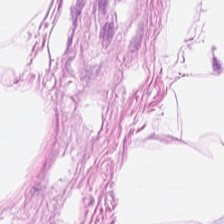Stain: H&E.
Resolution: 0.5 microns per pixel.
Predominant tissue: fat tissue.
